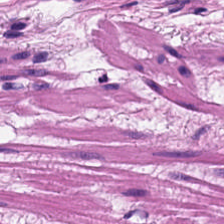Stain: H&E stain.
Acquisition: brightfield microscopy.
Tissue class: smooth muscle.
